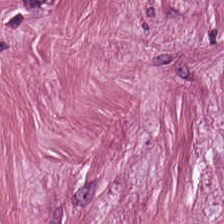FFPE tissue section; 0.5 µm per pixel; H&E stain — Histology → cancer-associated stroma.
